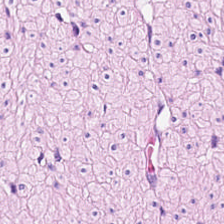H&E-stained tissue section. 224×224 px patch.
Showing muscularis.
